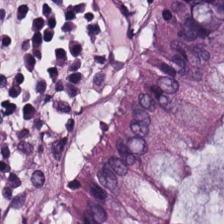H&E stain.
Impression → normal colonic mucosa.
